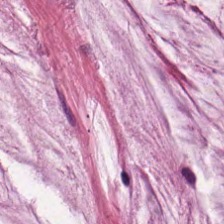WSI patch; hematoxylin-and-eosin stained section; FFPE tissue section. Predominant tissue — extracellular mucin.
